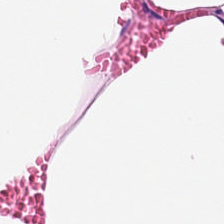Hematoxylin and eosin. 0.5 µm/px. Impression → adipose.
